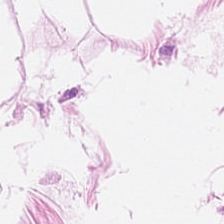Stain: hematoxylin and eosin.
Tissue class: adipocytes.
